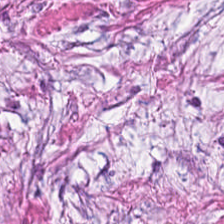Hematoxylin-and-eosin stained section.
{"tissue_type": "tumor-associated stroma"}
